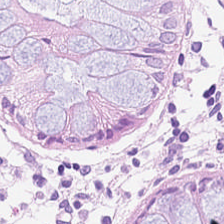FFPE. H&E stain. Showing non-neoplastic colon mucosa.
